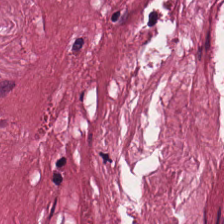{"tissue_type": "tumor stroma"}
